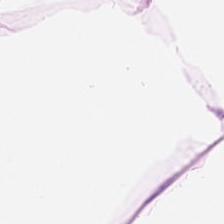H&E stain · 0.5 µm/px — The tissue class is adipose tissue.
